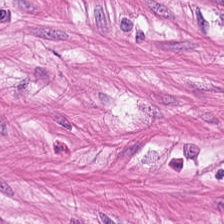Stain: H&E.
Preparation: FFPE tissue section.
Acquisition: brightfield.
Predominant tissue: smooth muscle.
